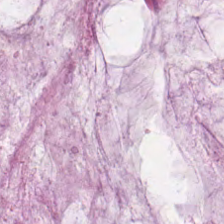FFPE; H&E — Tissue type: mucin.
